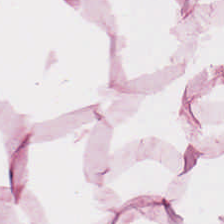H&E.
Q: What tissue is shown?
A: The field shows adipose.
